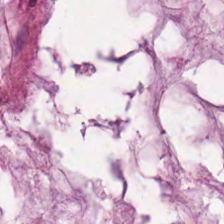H&E-stained tissue section.
This patch shows mucus.
